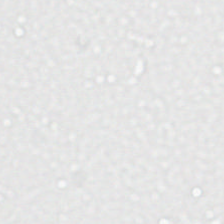Brightfield microscopy. H&E stain.
The content is no tissue.
